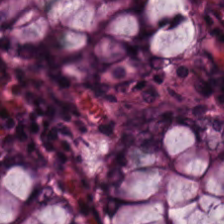Hematoxylin-and-eosin stained section; 0.5 microns per pixel. The tissue type is normal colon mucosa.
